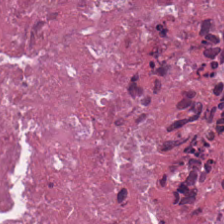Whole-slide-image patch · 224×224 pixel tile · H&E stain — {"tissue_type": "cellular debris"}
